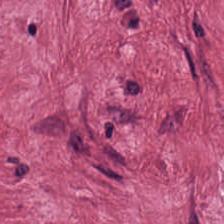Histology → cancer-associated stroma.
